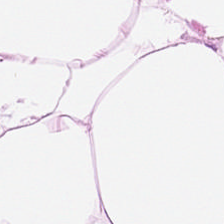Impression — adipocytes.
